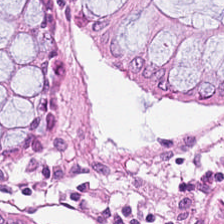Hematoxylin and eosin. Tissue class — benign colonic mucosa.
